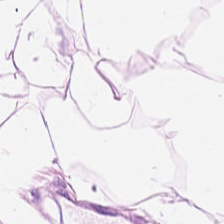Hematoxylin and eosin.
The tissue is adipose tissue.
